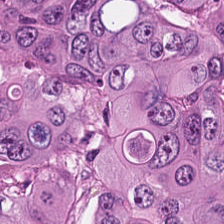Stain: H&E-stained tissue section.
Tissue class: colorectal adenocarcinoma epithelium.
